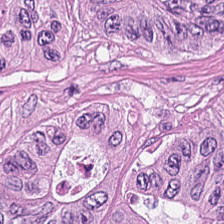H&E stain · FFPE · WSI patch — This patch shows adenocarcinoma.
